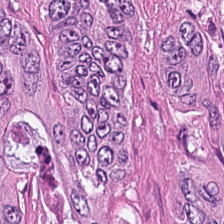H&E-stained tissue section.
Q: Identify the tissue.
A: Malignant epithelium.
